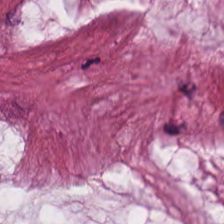Hematoxylin and eosin — Q: What is shown in this field?
A: Mucin.
